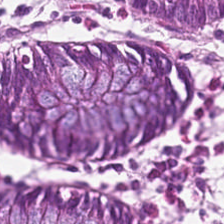H&E. This field is normal colon mucosa.
